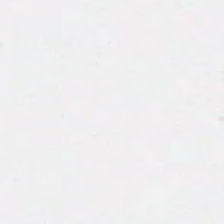Hematoxylin and eosin — Empty background.
